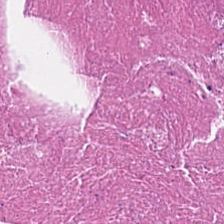H&E stain. Cellular debris.
